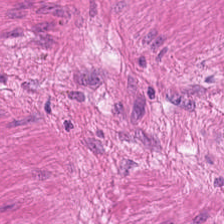Hematoxylin-and-eosin stained section · WSI patch. Smooth muscle.
